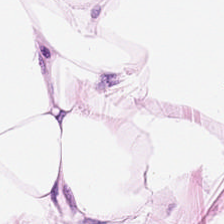This field is fat tissue.
